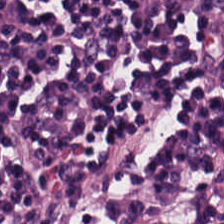Tissue: lymphocyte aggregate.
